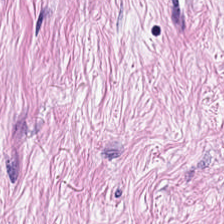The predominant tissue is tumor stroma.
